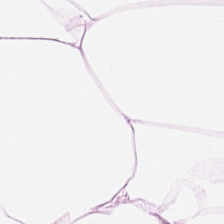Finding — fat tissue.
